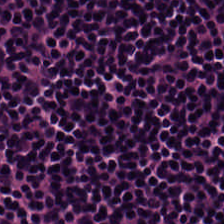H&E-stained tissue section · 224×224 pixel tile — The tissue here is lymphocyte aggregate.
